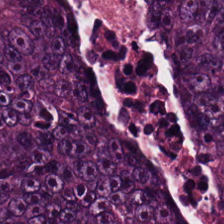H&E — The tissue here is tumor epithelium.
